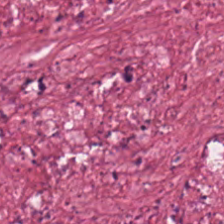H&E-stained tissue section. Formalin-fixed paraffin-embedded section. The predominant tissue is cancer-associated stroma.
